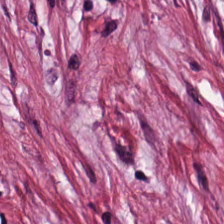Q: What tissue type is shown here?
A: The field shows desmoplastic stroma.
